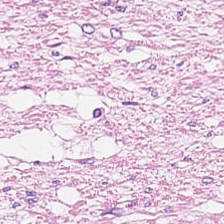H&E; 20× equivalent magnification. Tissue: smooth-muscle tissue.
